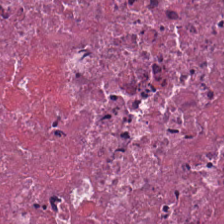Stain: H&E stain.
Tile size: 224×224 px tile.
Classification: debris.
